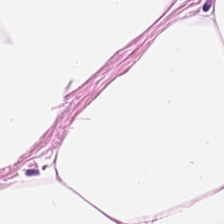Hematoxylin and eosin. Fat tissue.
